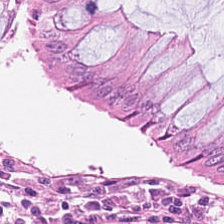H&E-stained tissue section. Predominant tissue — normal colon mucosa.
